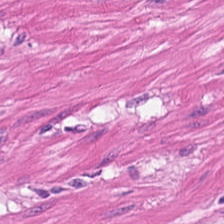H&E stain — Q: What is shown here?
A: Smooth muscle.
